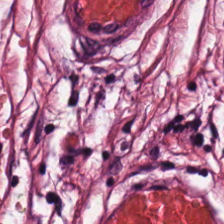Hematoxylin and eosin. Q: Identify the tissue.
A: It is tumor stroma.
